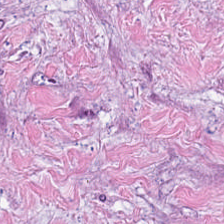Stain: H&E-stained tissue section.
Resolution: 0.5 microns per pixel.
Preparation: FFPE.
Classification: tumor-associated stroma.
